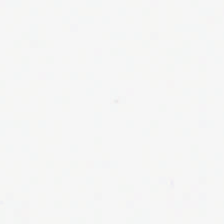Stain: H&E.
Classification: background.
